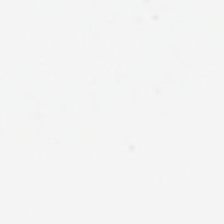Hematoxylin and eosin — The content is empty background.
